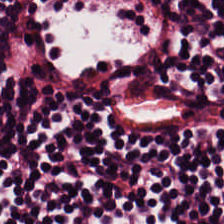Brightfield microscopy · hematoxylin and eosin.
Q: What type of tissue is this?
A: It is lymphocyte aggregate.
